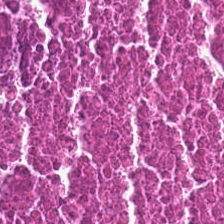Hematoxylin-and-eosin stained section. WSI patch.
Predominant tissue — cellular debris.
